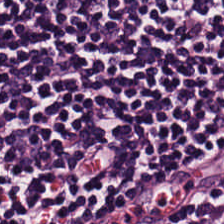Hematoxylin-and-eosin stained section. Tissue type: lymphocyte aggregate.
